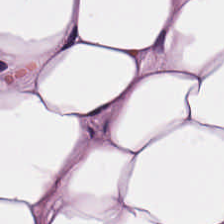Showing adipose.
